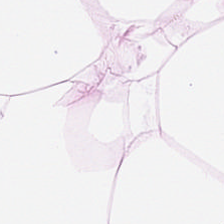Brightfield · 0.5 µm/px · hematoxylin and eosin.
Predominantly adipocytes.
